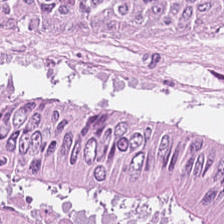H&E stain · 0.5 µm per pixel — {"tissue_type": "colorectal adenocarcinoma"}
